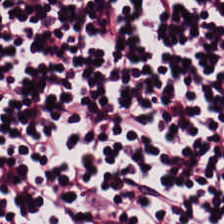H&E patch showing lymphoid infiltrate.
